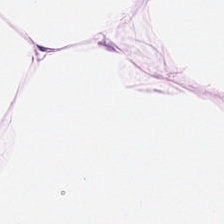Tissue type = adipose.
